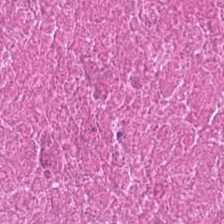0.5 µm per pixel; H&E stain.
Predominant tissue — cellular debris.
